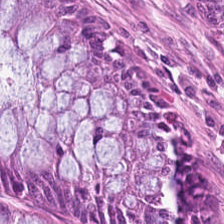H&E-stained tissue section — The tissue here is normal colon mucosa.
